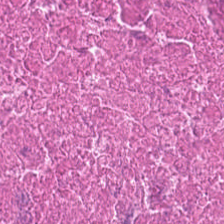Stain: H&E stain.
Preparation: FFPE.
Acquisition: WSI patch.
Classification: necrotic debris.
